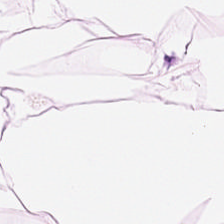H&E patch showing fat tissue.
